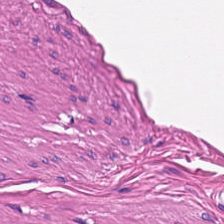Hematoxylin-and-eosin stained section.
The predominant tissue is smooth-muscle tissue.
